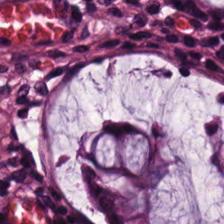Hematoxylin and eosin — The predominant tissue is normal colon mucosa.
